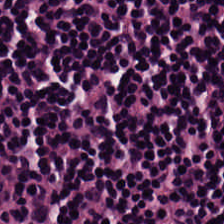H&E stain. Whole-slide-image patch.
This patch shows lymphocytes.
